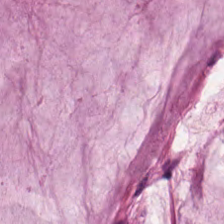0.5 µm per pixel; H&E stain. Predominantly extracellular mucin.
